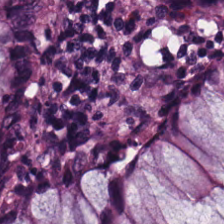Hematoxylin-and-eosin stained section.
This field is normal colonic mucosa.
